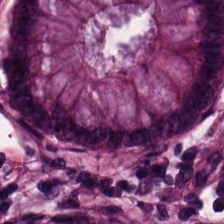Hematoxylin and eosin · formalin-fixed paraffin-embedded section. Showing non-neoplastic colon mucosa.
